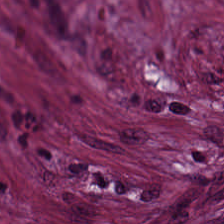224×224 px patch · FFPE · H&E-stained tissue section. Tissue class: desmoplastic stroma.
